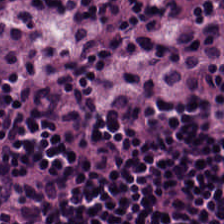Stain: H&E.
Tissue class: lymphocytic infiltrate.
